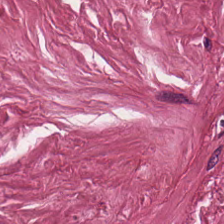224×224 pixel tile. 0.5 µm/px. H&E-stained tissue section. Tissue type: tumor stroma.
